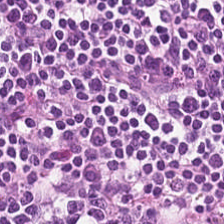H&E.
This field is lymphocyte aggregate.
